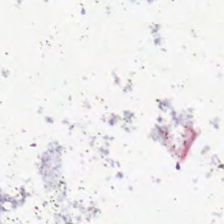Hematoxylin-and-eosin stained section.
Finding → background.
